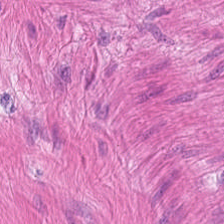H&E stain — {"tissue_type": "smooth-muscle tissue"}
